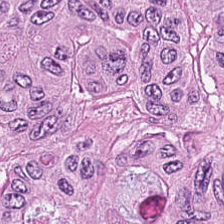0.5 µm/px. H&E-stained tissue section — The tissue here is tumor epithelium.
